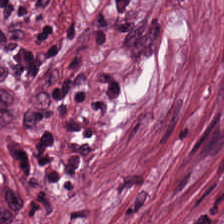Stain: H&E-stained tissue section.
Predominant tissue: tumor stroma.
